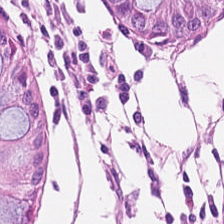Hematoxylin and eosin. The predominant tissue is non-neoplastic colon mucosa.
